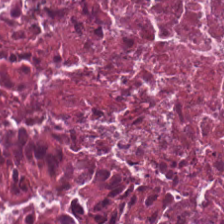H&E stain — Q: What is shown here?
A: Necrotic debris.
